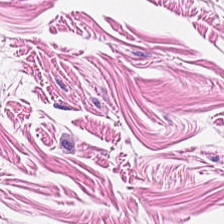H&E stain; 224×224 px tile; 0.5 µm/px — The predominant tissue is smooth muscle.
